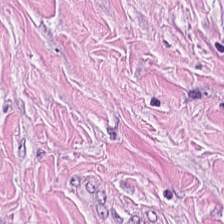H&E stain. Showing cancer-associated stroma.
